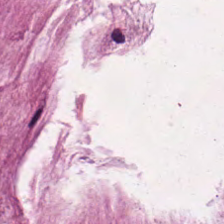224×224 px tile. Formalin-fixed paraffin-embedded section. H&E.
Classification — mucin.
